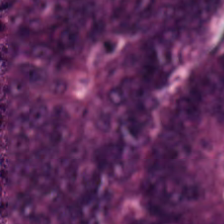Hematoxylin-and-eosin stained section; 0.5 µm/px; FFPE.
This field is malignant epithelium.
